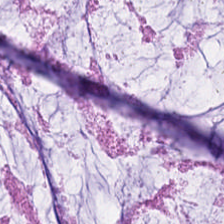Stain: H&E.
Acquisition: whole-slide-image patch.
Preparation: FFPE.
Tissue class: mucin.
